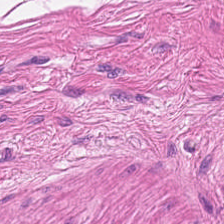Hematoxylin-and-eosin stained section — Muscularis.
